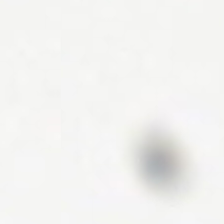H&E.
No tissue.
